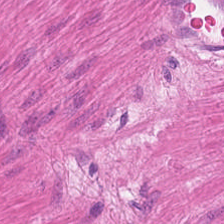Muscularis.
